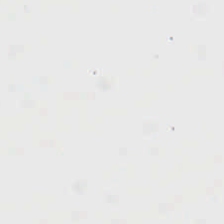Q: What is shown in this field?
A: It is no tissue.
